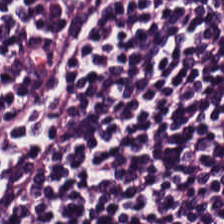20× equivalent magnification. H&E-stained tissue section.
This patch shows lymphoid infiltrate.
